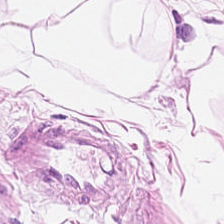Hematoxylin-and-eosin stained section. 224×224 px patch — Tissue: adipose.
